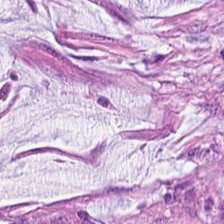Hematoxylin-and-eosin stained section. The tissue is mucus.
